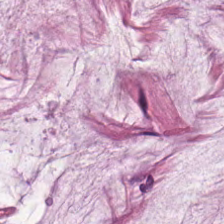Formalin-fixed paraffin-embedded section · hematoxylin-and-eosin stained section. Showing mucin.
